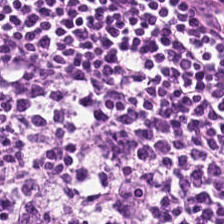Hematoxylin and eosin.
Predominantly lymphocyte aggregate.
